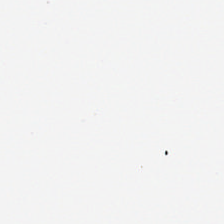Hematoxylin and eosin.
Empty field — no tissue.
